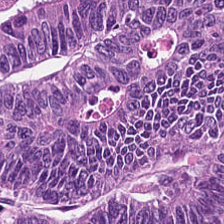224×224 px patch. H&E-stained tissue section. WSI patch.
Tissue — colorectal adenocarcinoma epithelium.
